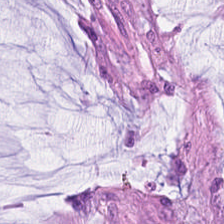Finding → mucus.
